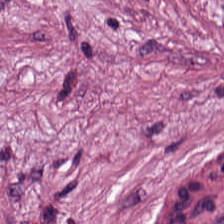{"tissue_type": "desmoplastic stroma"}
